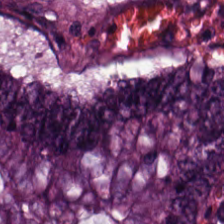H&E stain; 224×224 pixel tile — Histology — tumor epithelium.
